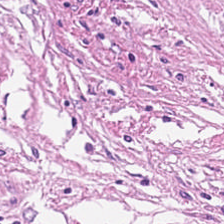H&E stain · formalin-fixed paraffin-embedded section. Predominantly tumor stroma.
